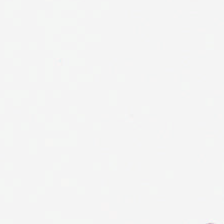H&E stain.
No tissue present; background only.
